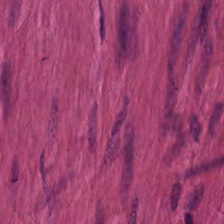H&E · 0.5 microns per pixel · FFPE tissue section. {"tissue_type": "muscularis"}
